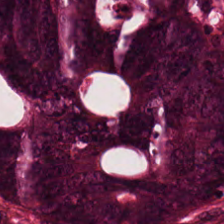H&E — The predominant tissue is malignant epithelium.
